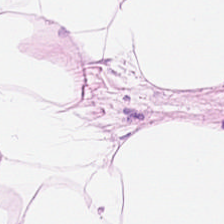H&E.
Classification — adipose.
